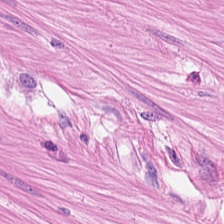Q: What is shown here?
A: The field shows smooth-muscle tissue.
